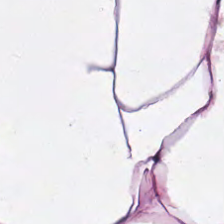H&E-stained tissue section. {"tissue_type": "fat tissue"}
